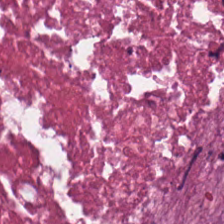H&E-stained tissue section.
The predominant tissue is debris.
